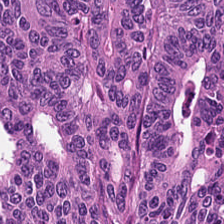H&E. Predominantly adenocarcinoma.
